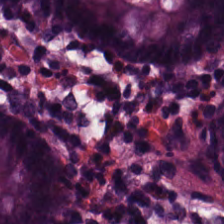H&E stain · 20× equivalent magnification.
Q: What is shown in this field?
A: This is normal colonic mucosa.
